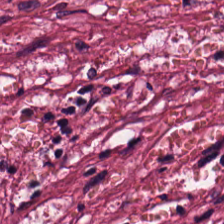Q: What is shown here?
A: This is tumor-associated stroma.
